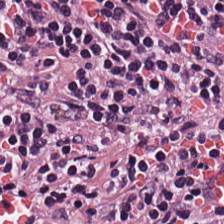H&E-stained tissue section showing lymphocytes.
